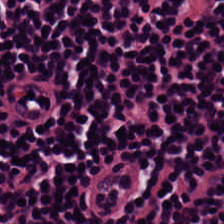H&E patch showing lymphocyte aggregate.
